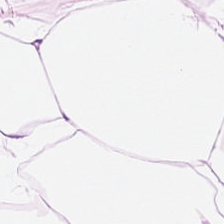Hematoxylin-and-eosin section: adipose tissue.
